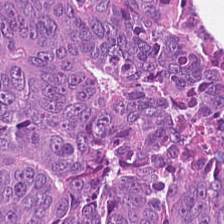The tissue type is colorectal adenocarcinoma epithelium.
